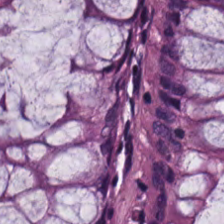Histology → normal colonic mucosa.
